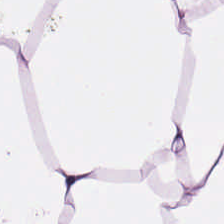H&E — Showing fat tissue.
